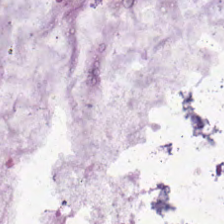Q: What is shown here?
A: It is mucin.
